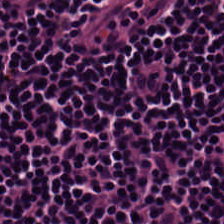Stain: H&E.
Resolution: 0.5 microns per pixel.
Classification: lymphoid infiltrate.
